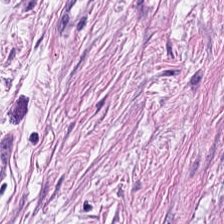H&E stain. FFPE — Impression — smooth-muscle tissue.
